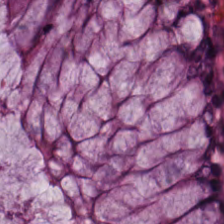H&E stain. The classification is normal colon mucosa.
